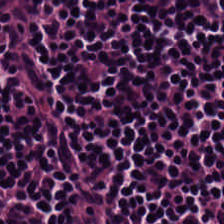Q: What is shown here?
A: The field shows lymphocyte aggregate.
